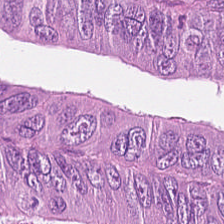Hematoxylin-and-eosin stained section.
Finding — adenocarcinoma.
